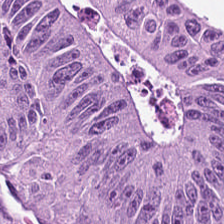H&E-stained tissue section; FFPE tissue section. This patch shows adenocarcinoma.
